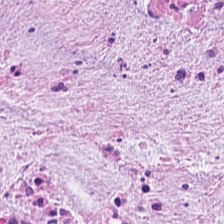Stain: H&E-stained tissue section.
Preparation: formalin-fixed paraffin-embedded section.
Classification: tumor stroma.
